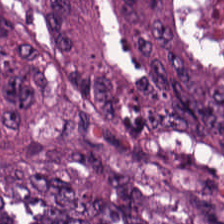H&E stain.
Impression — tumor epithelium.
